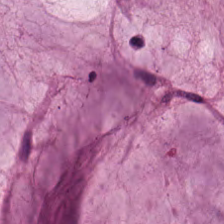Mucus.
